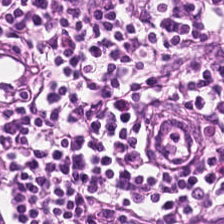Hematoxylin-and-eosin stained section; FFPE tissue section. Q: What tissue type is shown here?
A: Lymphocyte aggregate.
